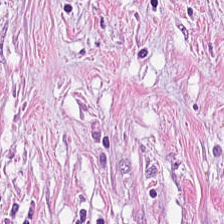H&E — This patch shows tumor-associated stroma.
